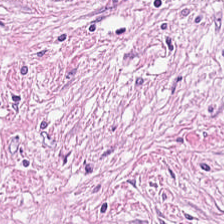H&E-stained tissue section showing tumor-associated stroma.
